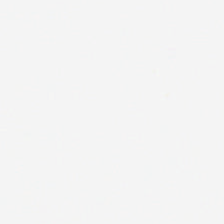224×224 px tile. H&E-stained tissue section — Field content = no tissue.
